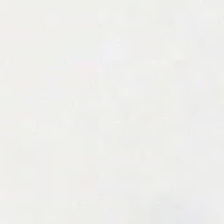Hematoxylin and eosin. 0.5 µm per pixel — Empty background.
